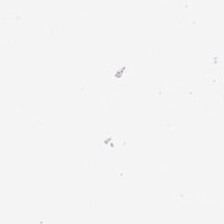H&E-stained tissue section.
The classification is background (no tissue).
